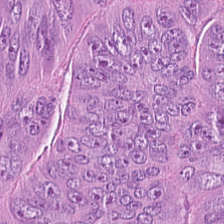H&E — Predominant tissue — tumor epithelium.
